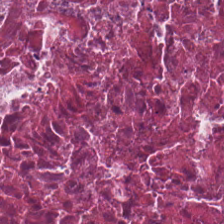H&E-stained tissue section.
Predominantly necrotic debris.
